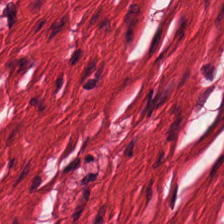This field is smooth-muscle tissue.
